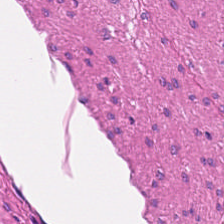H&E · brightfield — Showing muscularis.
